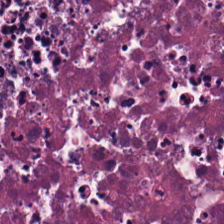H&E stain · WSI patch — Q: What type of tissue is this?
A: Debris.
